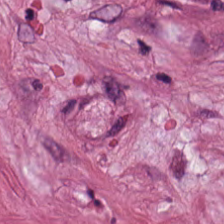Stain: hematoxylin-and-eosin stained section.
Tissue type: tumor-associated stroma.
